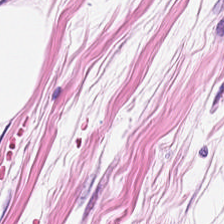H&E. Showing adipose tissue.
